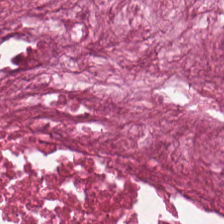Hematoxylin and eosin. 0.5 µm/px — Tissue class — cellular debris.
